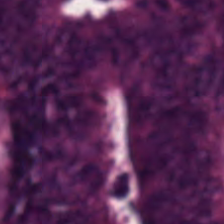FFPE tissue section · hematoxylin-and-eosin stained section — Finding → colorectal adenocarcinoma.
